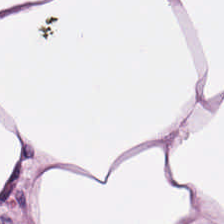H&E. The tissue is fat tissue.
